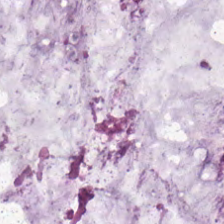The tissue class is extracellular mucin.
